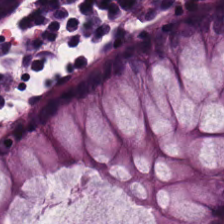Hematoxylin-and-eosin stained section.
Finding — non-neoplastic colon mucosa.
